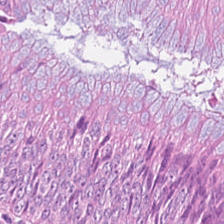Brightfield microscopy; H&E stain; 0.5 µm per pixel.
Adenocarcinoma.
